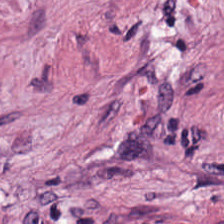Hematoxylin-and-eosin stained section.
Tissue type — desmoplastic stroma.
